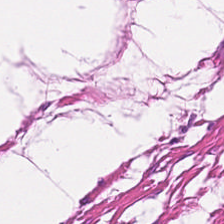FFPE tissue section. 0.5 microns per pixel. H&E-stained tissue section — The tissue class is smooth-muscle tissue.
